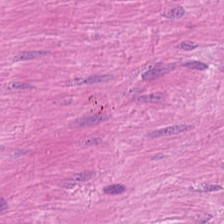20× equivalent magnification; H&E-stained tissue section.
Q: Classify this patch.
A: The field shows smooth-muscle tissue.
